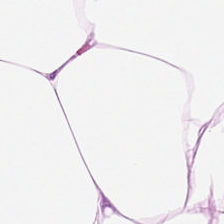224×224 pixel tile; hematoxylin and eosin; brightfield microscopy.
Tissue type = adipocytes.
